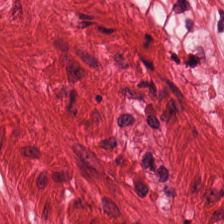Brightfield · 224×224 px tile · H&E stain — Muscularis.
